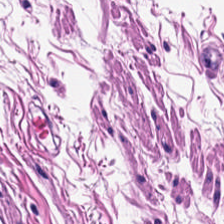Predominant tissue = smooth-muscle tissue.
